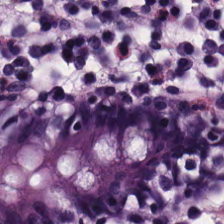H&E-stained tissue section — Predominant tissue — normal colon mucosa.
